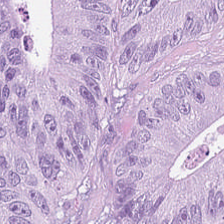Tissue type = malignant epithelium.
